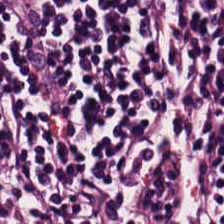Hematoxylin-and-eosin stained section; 224×224 pixel tile.
{"tissue_type": "lymphoid infiltrate"}
